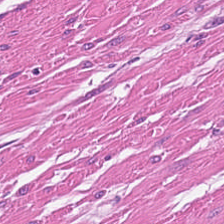Hematoxylin and eosin.
{"tissue_type": "muscularis"}
